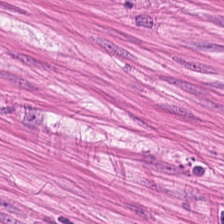Formalin-fixed paraffin-embedded section; hematoxylin and eosin.
The predominant tissue is muscularis.
